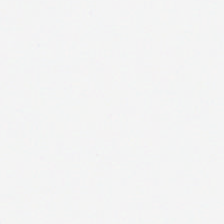224×224 px tile. H&E. Brightfield. Empty background.
